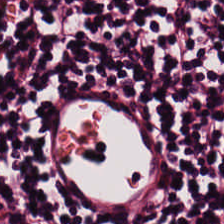H&E-stained tissue section; 224×224 px tile — {"tissue_type": "lymphocyte aggregate"}
